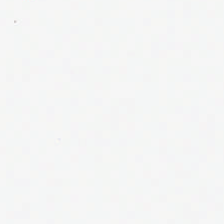Hematoxylin-and-eosin stained section · 224×224 px patch — This patch shows no tissue.
